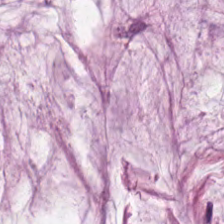H&E · FFPE — The tissue class is mucin.
